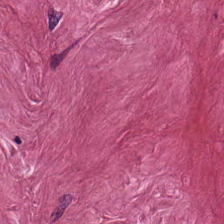The predominant tissue is tumor stroma.
